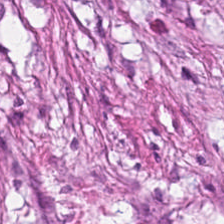Tissue class — desmoplastic stroma.
